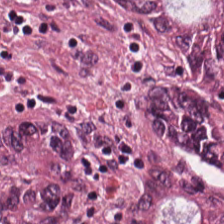FFPE; H&E stain — Q: What is the predominant tissue type?
A: It is malignant epithelium.
